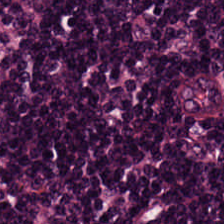H&E-stained tissue section. Showing lymphocytes.
